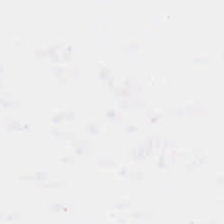WSI patch. H&E stain. Q: What does this patch show?
A: The field shows no tissue.
